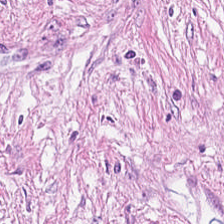Hematoxylin-and-eosin stained section. Tissue — cancer-associated stroma.
